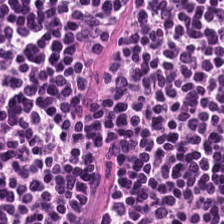H&E; brightfield.
Tissue class = lymphocytes.
